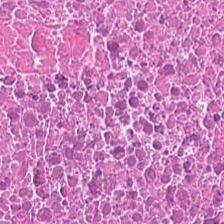H&E. WSI patch. 20× equivalent magnification. Q: Classify this patch.
A: The field shows debris.
